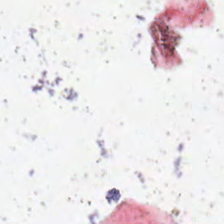H&E.
Field content — empty background.
